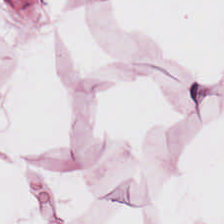Adipose tissue.
